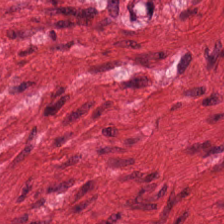H&E-stained tissue section. Muscularis.
